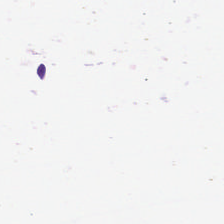H&E-stained tissue section.
The content is background.
